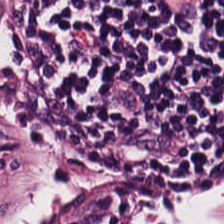H&E.
This patch shows lymphocyte aggregate.
